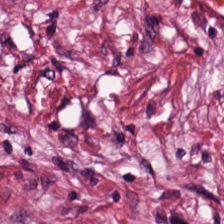224×224 pixel tile; formalin-fixed paraffin-embedded section; hematoxylin-and-eosin stained section — Impression — desmoplastic stroma.
